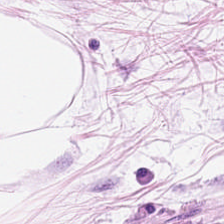Stain: H&E stain.
Preparation: formalin-fixed paraffin-embedded section.
Tile size: 224×224 pixel tile.
Classification: adipocytes.
